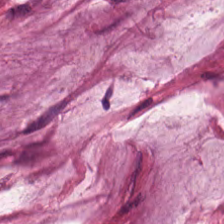Stain: hematoxylin and eosin.
Tissue: extracellular mucin.
